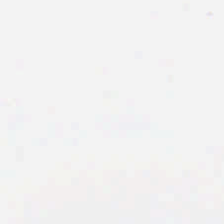FFPE tissue section; hematoxylin and eosin — {"content": "background"}
